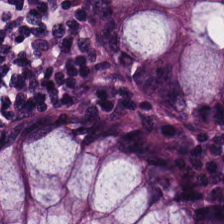Q: What does this patch show?
A: This is benign colonic mucosa.
